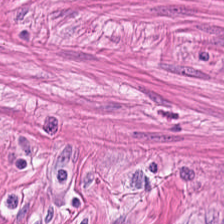H&E patch showing smooth-muscle tissue.
